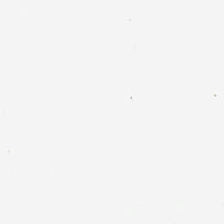Q: What is shown in this field?
A: The field shows background.
